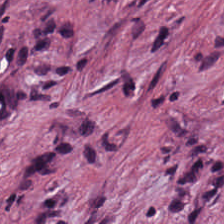Hematoxylin-and-eosin section: cancer-associated stroma.
